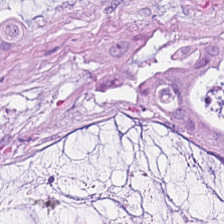Stain: hematoxylin and eosin.
Resolution: 20× equivalent magnification.
Acquisition: WSI patch.
Classification: extracellular mucin.
